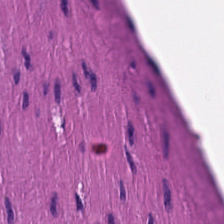Stain: H&E.
Predominant tissue: smooth muscle.
